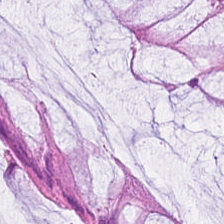H&E stain.
Histology — benign colonic mucosa.
